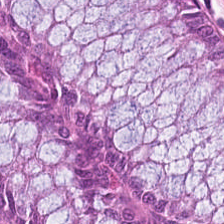H&E stain — Classification — normal colon mucosa.
